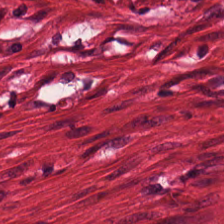H&E patch showing muscularis.
